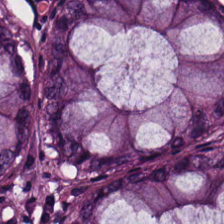224×224 px patch · H&E · WSI patch. Tissue = normal colonic mucosa.
